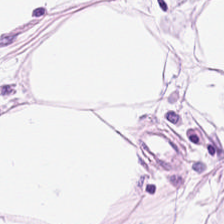H&E stain · FFPE · 0.5 microns per pixel — This patch shows adipocytes.
